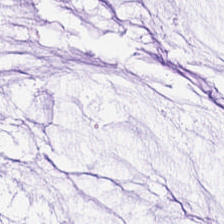Hematoxylin and eosin. Mucus.
